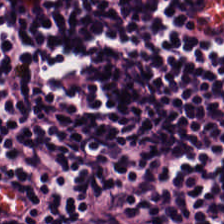Stain: H&E-stained tissue section.
Tissue: lymphocytic infiltrate.
